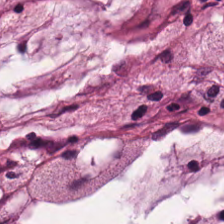H&E-stained tissue section. Tissue type: extracellular mucin.
